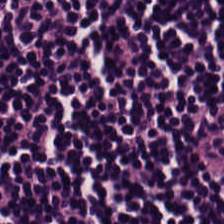Stain: H&E stain.
Classification: lymphocyte aggregate.
